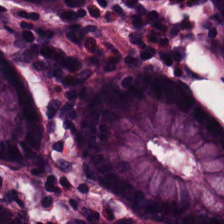H&E · FFPE.
{"tissue_type": "normal colonic mucosa"}
